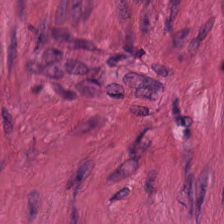224×224 pixel tile · H&E — The tissue is muscularis.
